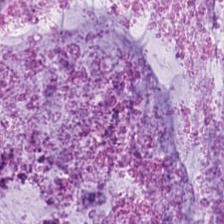Impression — mucin.
